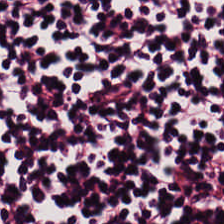20× equivalent magnification; H&E. The tissue here is lymphoid infiltrate.
